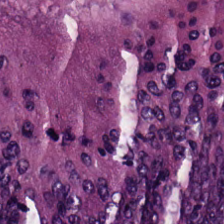Hematoxylin-and-eosin stained section; FFPE — The predominant tissue is colorectal adenocarcinoma epithelium.
